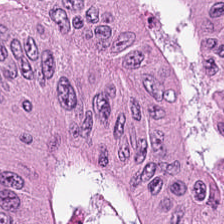Q: What tissue is shown?
A: This is colorectal adenocarcinoma.
